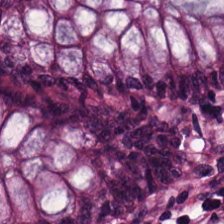Hematoxylin and eosin; 224×224 px tile — Finding → non-neoplastic colon mucosa.
